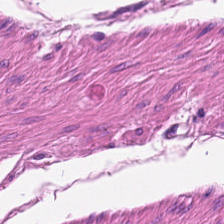Hematoxylin-and-eosin stained section.
Finding → muscularis.
